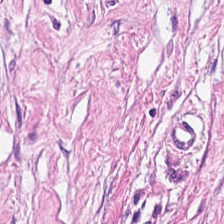H&E-stained tissue section — Tissue type = tumor-associated stroma.
